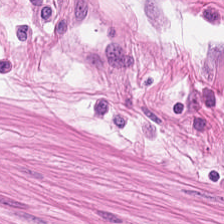Formalin-fixed paraffin-embedded section; H&E-stained tissue section. Finding → smooth muscle.
